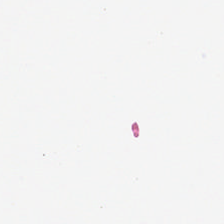Hematoxylin and eosin.
Background — no tissue in this field.
